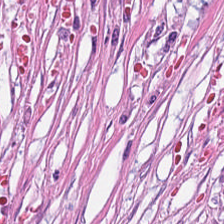H&E. This patch shows tumor stroma.
